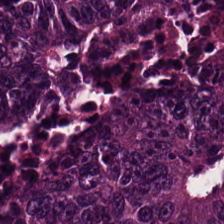H&E; 224×224 px patch.
Q: What type of tissue is this?
A: Colorectal adenocarcinoma.
